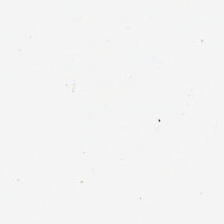Hematoxylin and eosin.
Finding → no tissue.
